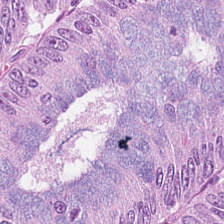Hematoxylin-and-eosin stained section · brightfield. Impression → colorectal adenocarcinoma epithelium.
